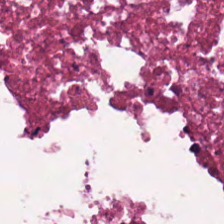Hematoxylin-and-eosin section: necrotic debris.
